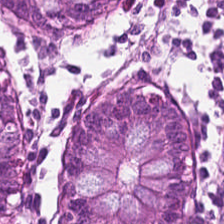H&E — The tissue class is normal colonic mucosa.
